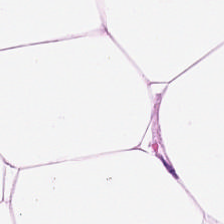H&E.
{"tissue_type": "adipocytes"}
